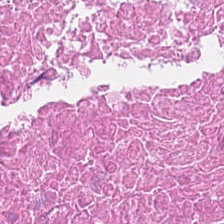Stain: hematoxylin-and-eosin stained section.
Resolution: 0.5 µm per pixel.
Predominant tissue: necrotic debris.
